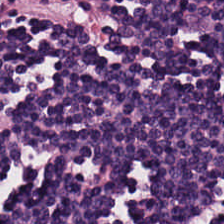FFPE. H&E. The tissue here is lymphocyte aggregate.
